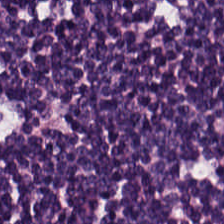H&E · FFPE.
Finding — lymphocytes.
